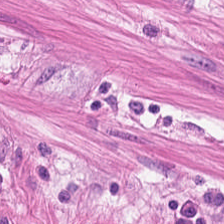H&E; 0.5 µm/px. Predominantly smooth-muscle tissue.
